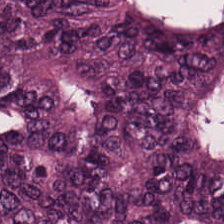H&E — adenocarcinoma.
